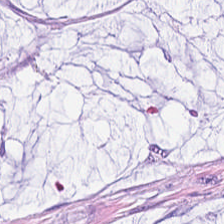H&E — mucus.
